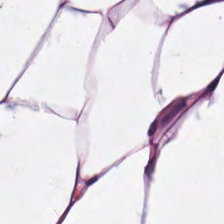H&E stain — This patch shows fat tissue.
